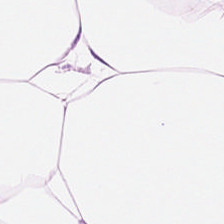Hematoxylin-and-eosin stained section — Fat tissue.
